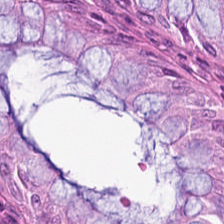Hematoxylin-and-eosin stained section — Tissue class = benign colonic mucosa.
